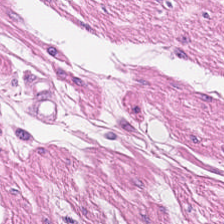H&E-stained tissue section.
Showing smooth-muscle tissue.
